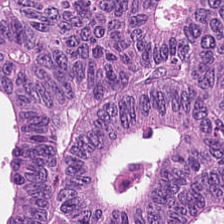H&E; FFPE tissue section; WSI patch.
This patch shows adenocarcinoma.
